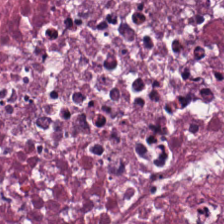Stain: hematoxylin and eosin.
Tissue class: necrotic debris.
